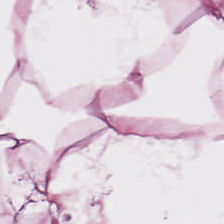H&E stain; FFPE. {"tissue_type": "fat tissue"}
